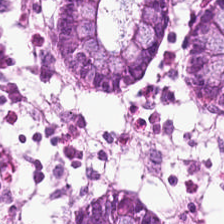224×224 px tile. Brightfield. Hematoxylin-and-eosin stained section — Classification = benign colonic mucosa.
